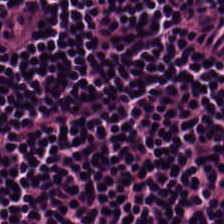Hematoxylin and eosin — The tissue here is lymphocytes.
